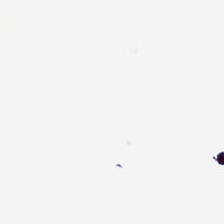Stain: H&E-stained tissue section.
Content: no tissue.
